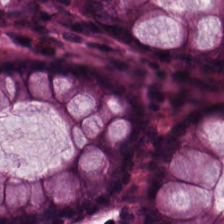The classification is normal colonic mucosa.
